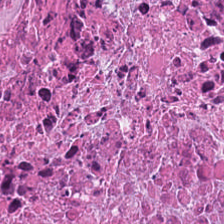Hematoxylin and eosin. Brightfield. 224×224 pixel tile. The predominant tissue is cellular debris.
